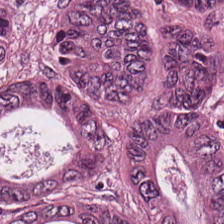H&E. 0.5 microns per pixel. 224×224 px tile.
Tissue type — colorectal adenocarcinoma.
